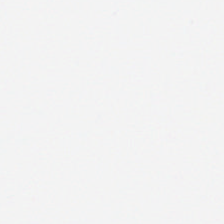20× equivalent magnification. Whole-slide-image patch. Hematoxylin-and-eosin stained section. No tissue present; background only.
